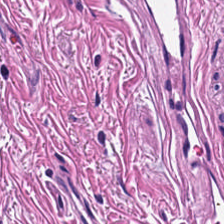Stain: H&E-stained tissue section.
Tissue type: muscularis.
